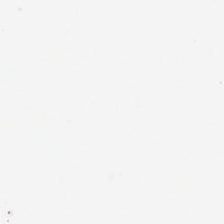H&E-stained tissue section. Classification — empty background.
